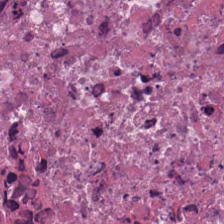Hematoxylin-and-eosin stained section.
Tissue class: cellular debris.
